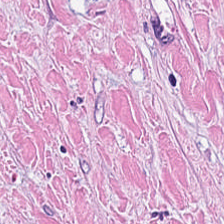FFPE; H&E-stained tissue section — This field is tumor stroma.
